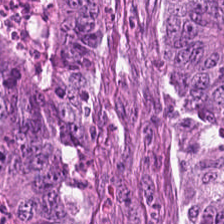Q: What is shown in this field?
A: The field shows colorectal adenocarcinoma.
